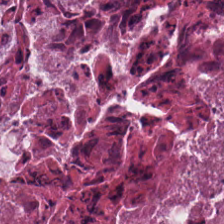Stain: hematoxylin-and-eosin stained section.
Resolution: 20× equivalent magnification.
Tile size: 224×224 px tile.
Classification: debris.
